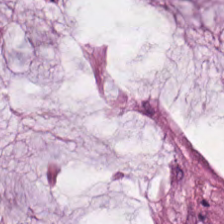H&E — extracellular mucin.
